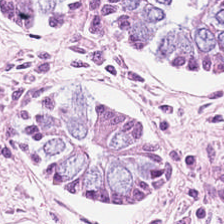H&E. Q: What is shown here?
A: Benign colonic mucosa.
